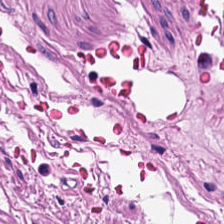FFPE · 224×224 pixel tile · H&E — Predominant tissue = muscularis.
